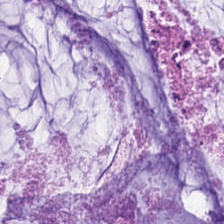224×224 pixel tile; hematoxylin and eosin; formalin-fixed paraffin-embedded section. Mucin.
